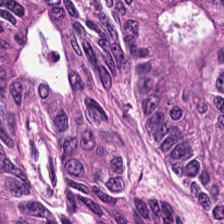Stain: H&E-stained tissue section.
Preparation: formalin-fixed paraffin-embedded section.
Tile size: 224×224 px patch.
Tissue type: colorectal adenocarcinoma epithelium.
